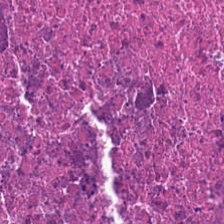Formalin-fixed paraffin-embedded section; brightfield; H&E stain. Tissue = necrotic debris.
